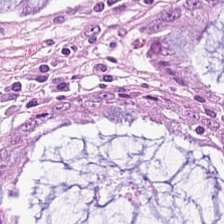H&E — benign colonic mucosa.
